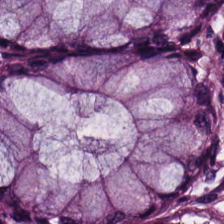H&E-stained tissue section. Q: Identify the tissue.
A: It is normal colon mucosa.
